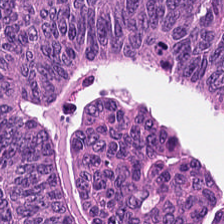H&E; FFPE.
The predominant tissue is adenocarcinoma.
